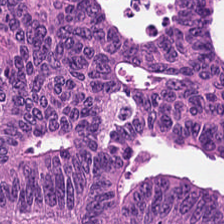Impression → tumor epithelium.
